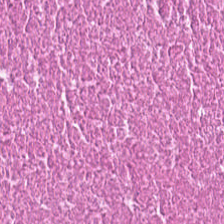FFPE tissue section. Hematoxylin-and-eosin stained section. Q: What is shown in this field?
A: This is cellular debris.
